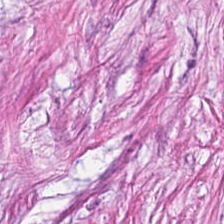Q: What does this patch show?
A: It is desmoplastic stroma.
